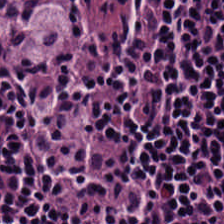The tissue type is lymphoid infiltrate.
